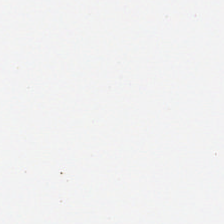Background — no tissue in this field.
